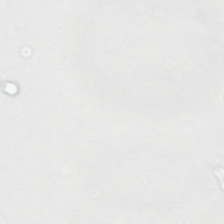Hematoxylin-and-eosin stained section. Brightfield — The classification is background (no tissue).
